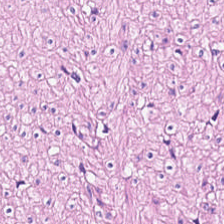This patch shows muscularis.
